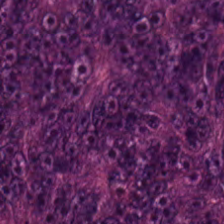H&E stain; 0.5 µm/px. The tissue here is malignant epithelium.
